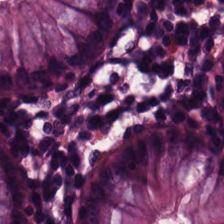Hematoxylin-and-eosin stained section. Predominant tissue: non-neoplastic colon mucosa.
